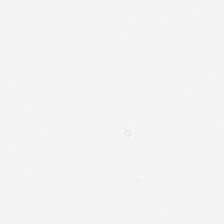H&E stain · formalin-fixed paraffin-embedded section. Background — no tissue in this field.
